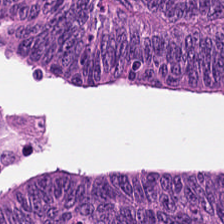Hematoxylin-and-eosin stained section. FFPE — {"tissue_type": "malignant epithelium"}
